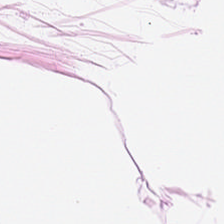H&E-stained section; the field shows adipocytes.
